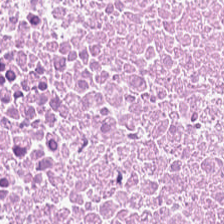H&E · formalin-fixed paraffin-embedded section · 224×224 px tile.
This field is necrotic debris.
